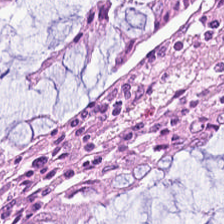H&E stain.
Q: What is the predominant tissue type?
A: It is normal colonic mucosa.
